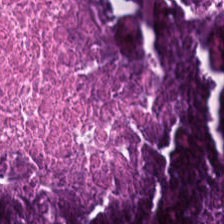The tissue is cellular debris.
